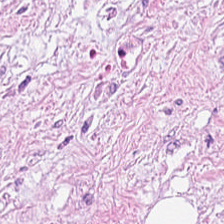Hematoxylin-and-eosin stained section. 0.5 microns per pixel — The predominant tissue is desmoplastic stroma.
